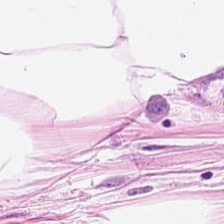Stain: H&E stain.
Tile size: 224×224 px tile.
Tissue class: adipose.
